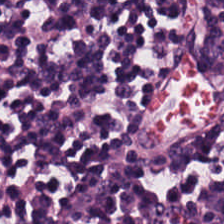Hematoxylin-and-eosin stained section. This patch shows lymphocyte aggregate.
